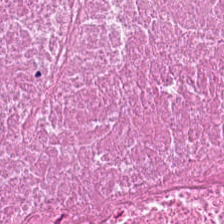H&E — debris.
